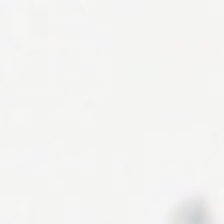Background — no tissue in this field.
